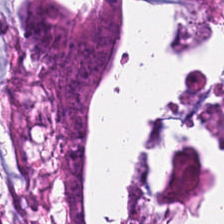WSI patch · H&E-stained tissue section · 20× equivalent magnification. The tissue class is malignant epithelium.
